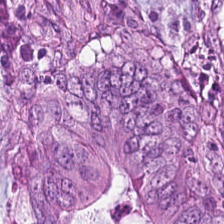This patch shows malignant epithelium.
